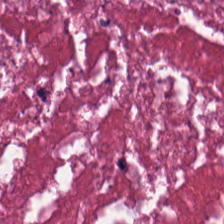H&E stain · 224×224 pixel tile · WSI patch.
Q: What tissue type is shown here?
A: Cellular debris.
